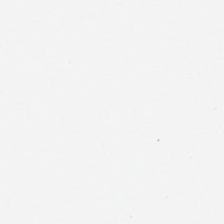H&E-stained tissue section; 0.5 microns per pixel.
Impression → background (no tissue).
